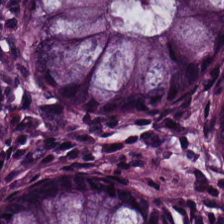Hematoxylin and eosin — Q: What tissue is shown?
A: Non-neoplastic colon mucosa.
